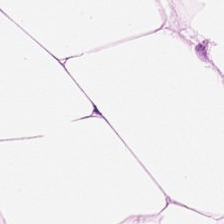H&E stain.
Classification: adipocytes.
